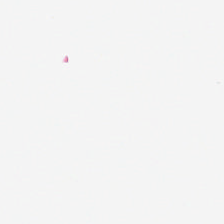This patch shows no tissue.
